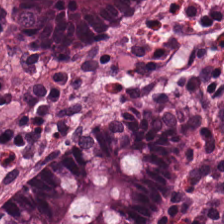Stain: hematoxylin-and-eosin stained section.
Tissue type: normal colonic mucosa.
